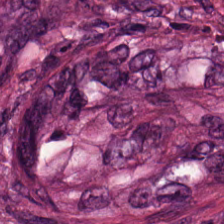H&E — Predominantly desmoplastic stroma.
